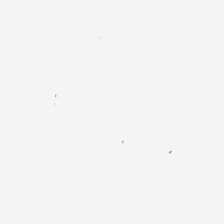H&E; FFPE.
Background — no tissue in this field.
